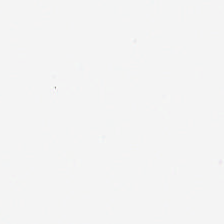Finding → background (no tissue).
